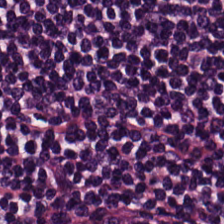Predominant tissue: lymphocytic infiltrate.
